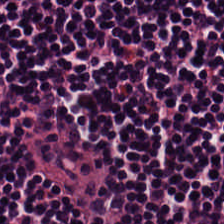Q: What tissue is shown?
A: This is lymphocytic infiltrate.
